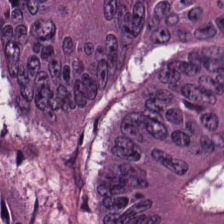Classification: malignant epithelium.
